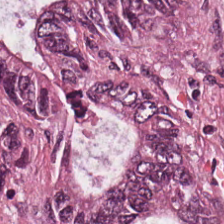Hematoxylin-and-eosin stained section. The tissue type is malignant epithelium.
